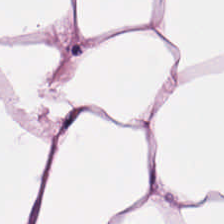H&E patch showing adipose.
